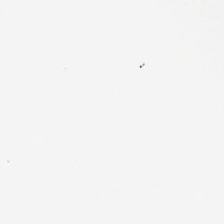No tissue present; background only.
